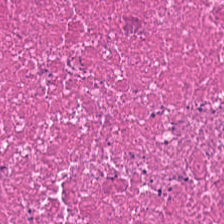Stain: H&E.
Tissue: necrotic debris.
